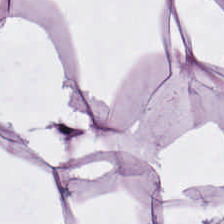WSI patch. Hematoxylin-and-eosin stained section — Histology — adipocytes.
